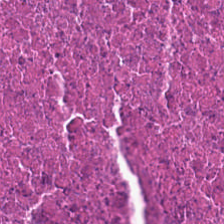Stain: hematoxylin-and-eosin stained section.
Tile size: 224×224 px tile.
Preparation: FFPE tissue section.
Classification: debris.
